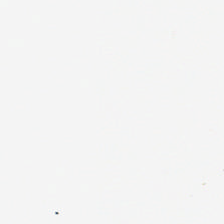H&E-stained tissue section.
Q: Classify this patch.
A: This is background.
